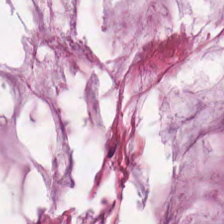224×224 px tile; H&E.
Tissue class — extracellular mucin.
